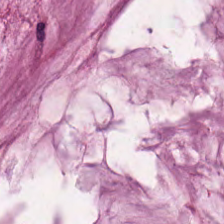Hematoxylin-and-eosin stained section. 0.5 microns per pixel. Brightfield.
This patch shows extracellular mucin.
